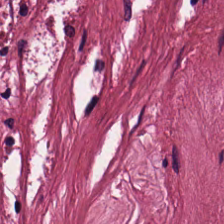0.5 microns per pixel; brightfield microscopy; H&E stain.
Showing tumor stroma.
